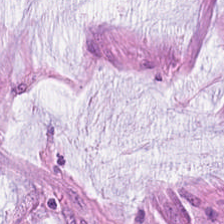Hematoxylin and eosin; FFPE tissue section. This patch shows mucus.
